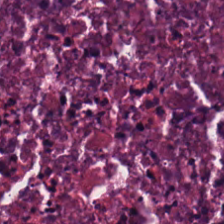224×224 pixel tile. H&E-stained tissue section.
Predominantly cellular debris.
